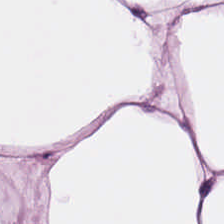224×224 px patch; hematoxylin-and-eosin stained section; FFPE tissue section — Finding → adipose.
